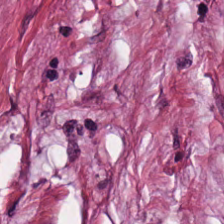Finding → tumor-associated stroma.
